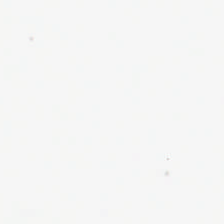H&E stain — Classification — background.
